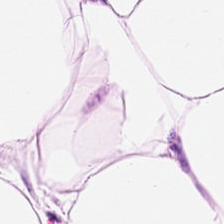H&E.
The tissue is adipose tissue.
